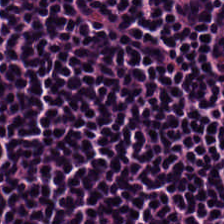0.5 microns per pixel · hematoxylin and eosin — This field is lymphocyte aggregate.
